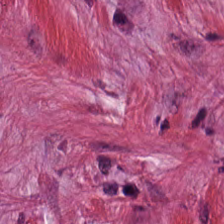Hematoxylin and eosin — The tissue class is tumor stroma.
